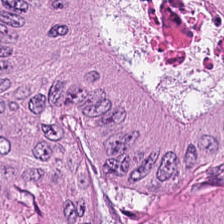FFPE tissue section · H&E stain — Q: What tissue type is shown here?
A: Colorectal adenocarcinoma.
